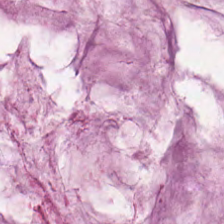Brightfield microscopy · hematoxylin and eosin. Q: Identify the tissue.
A: It is extracellular mucin.
